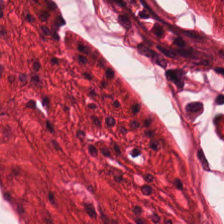H&E-stained tissue section. Brightfield microscopy. Formalin-fixed paraffin-embedded section — Muscularis.
